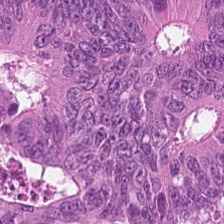Predominant tissue — tumor epithelium.
